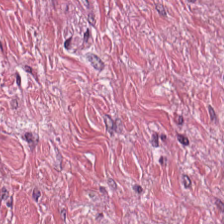H&E-stained tissue section · 224×224 pixel tile · formalin-fixed paraffin-embedded section — The tissue here is tumor-associated stroma.
